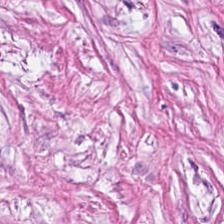Stain: H&E.
Preparation: FFPE.
Acquisition: brightfield.
Predominant tissue: tumor stroma.
